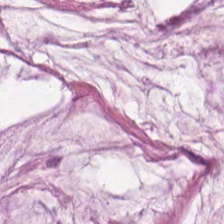224×224 px patch · H&E-stained tissue section — Mucus.
